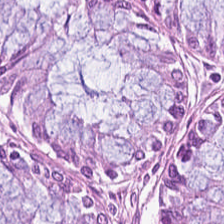H&E-stained tissue section.
Q: Classify this patch.
A: This is normal colon mucosa.
